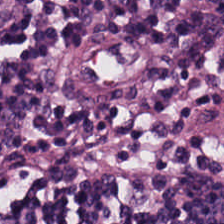0.5 µm/px · hematoxylin and eosin.
Tissue — lymphoid infiltrate.
